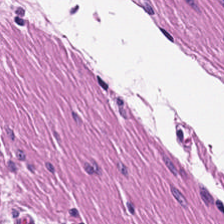Hematoxylin and eosin — Tissue type: smooth-muscle tissue.
